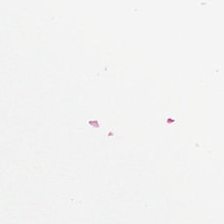Hematoxylin and eosin — Impression — no tissue.
